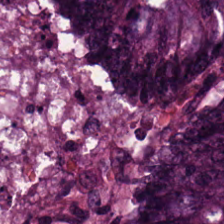H&E. 224×224 px tile.
Q: Classify this patch.
A: It is tumor epithelium.
